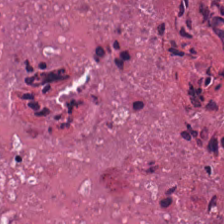H&E stain — Classification — cellular debris.
